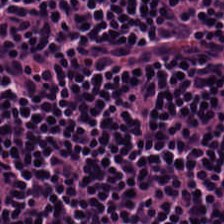Hematoxylin and eosin.
Tissue class: lymphocytes.
